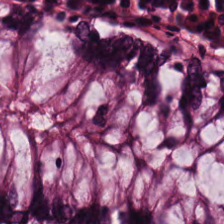H&E stain — Tissue class: benign colonic mucosa.
